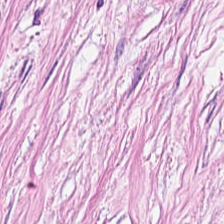Stain: H&E stain.
Classification: tumor-associated stroma.
